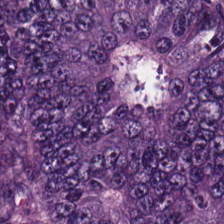H&E-stained tissue section.
Tissue — colorectal adenocarcinoma epithelium.
